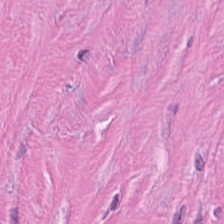Hematoxylin-and-eosin stained section — Q: What type of tissue is this?
A: It is tumor-associated stroma.
